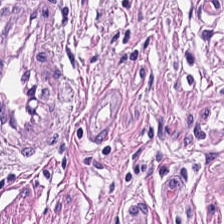224×224 px tile · hematoxylin and eosin. This field is smooth muscle.
